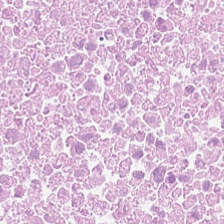H&E. Tissue class — debris.
